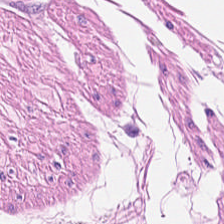224×224 pixel tile · hematoxylin and eosin. Q: Identify the tissue.
A: It is smooth-muscle tissue.
